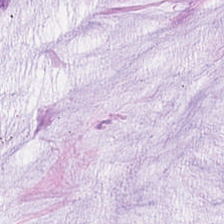H&E-stained tissue section. 0.5 µm per pixel.
Mucus.
